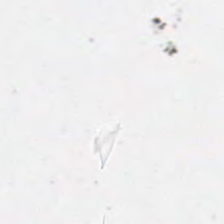0.5 µm/px. H&E.
This field is background (no tissue).
